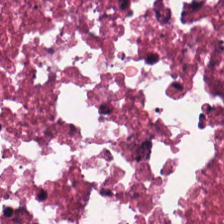H&E — cellular debris.
